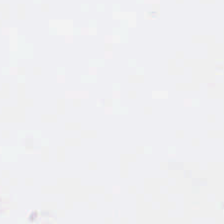Hematoxylin-and-eosin stained section. 0.5 µm/px. Q: What is shown here?
A: This is empty background.
